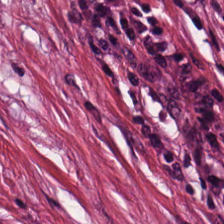Hematoxylin and eosin.
The tissue type is tumor stroma.
